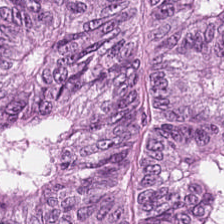Impression → adenocarcinoma.
